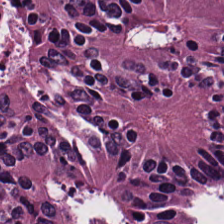0.5 µm per pixel. 224×224 px patch. H&E — Predominantly colorectal adenocarcinoma.
